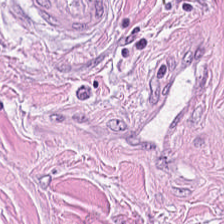Predominant tissue = tumor-associated stroma.
